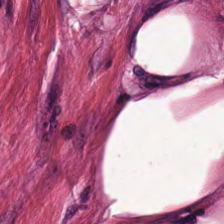Stain: hematoxylin and eosin.
Resolution: 0.5 microns per pixel.
Predominant tissue: desmoplastic stroma.
